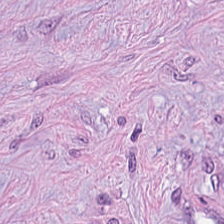0.5 µm/px; H&E.
Q: What is the predominant tissue type?
A: The field shows tumor stroma.
